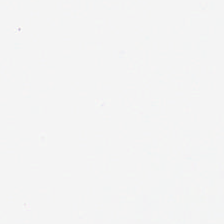Hematoxylin and eosin — Impression → no tissue.
